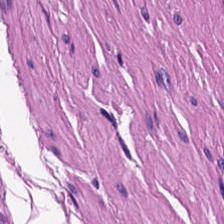Hematoxylin-and-eosin stained section — Muscularis.
